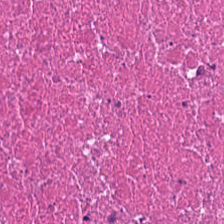224×224 px tile; 0.5 microns per pixel; H&E-stained tissue section — Classification — necrotic debris.
